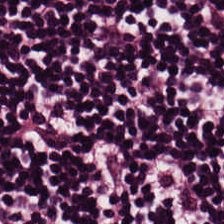Histology — lymphoid infiltrate.
